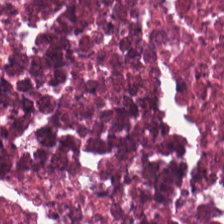H&E — Impression → necrotic debris.
